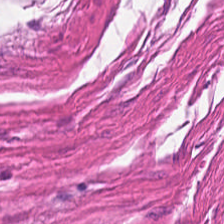224×224 px tile · formalin-fixed paraffin-embedded section · H&E — This field is smooth muscle.
